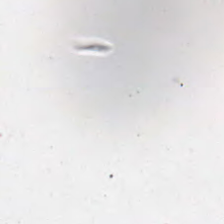Hematoxylin and eosin — Field content: no tissue.
